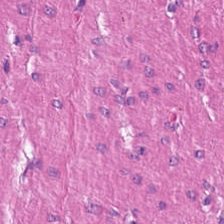H&E; 0.5 microns per pixel; FFPE tissue section.
The classification is smooth muscle.
